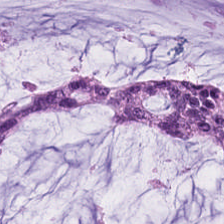Tissue class = mucus.
